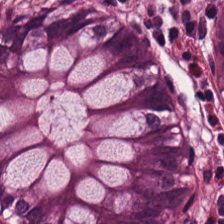Hematoxylin-and-eosin stained section. 224×224 px patch. The predominant tissue is normal colonic mucosa.
